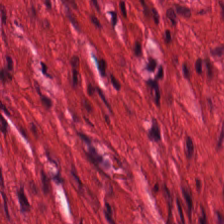Hematoxylin and eosin — Predominant tissue — smooth muscle.
